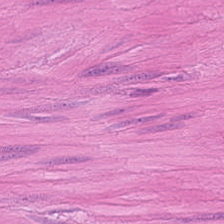H&E — smooth muscle.
